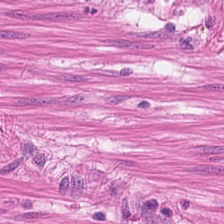{"tissue_type": "smooth-muscle tissue"}
